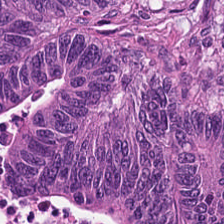Histology → malignant epithelium.
